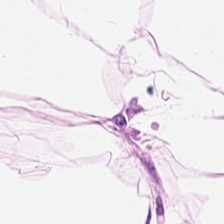H&E stain.
The tissue is adipose tissue.
